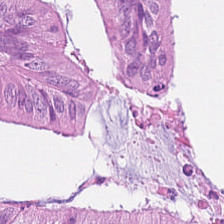FFPE tissue section; hematoxylin-and-eosin stained section. Finding — colorectal adenocarcinoma.
